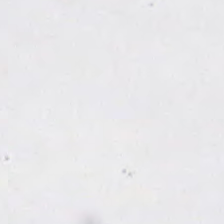Field content — background (no tissue).
